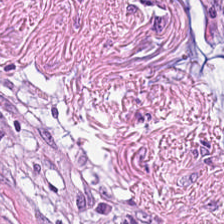H&E-stained section; the field shows desmoplastic stroma.
